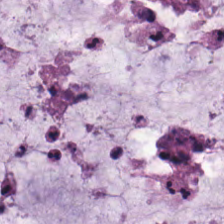H&E. Predominantly mucin.
